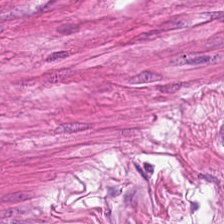Showing smooth-muscle tissue.
